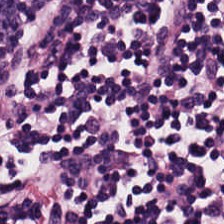Hematoxylin and eosin.
Predominant tissue: lymphocyte aggregate.
